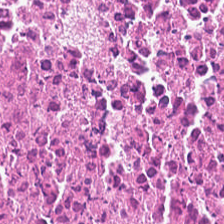Hematoxylin and eosin. 0.5 µm/px. Finding → debris.
